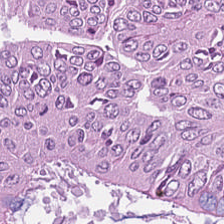Stain: hematoxylin and eosin.
Tile size: 224×224 pixel tile.
Predominant tissue: adenocarcinoma.
